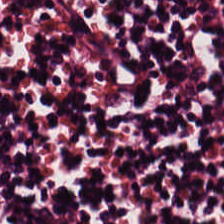H&E stain — Predominantly lymphocytes.
